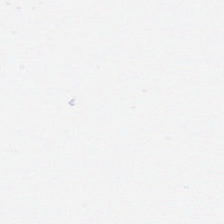Finding — background (no tissue).
